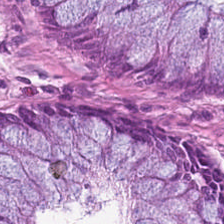H&E stain.
Finding — non-neoplastic colon mucosa.
